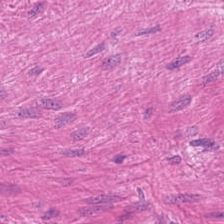H&E. 224×224 pixel tile. Tissue class = smooth muscle.
